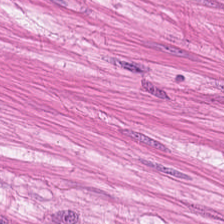H&E-stained tissue section; whole-slide-image patch.
{"tissue_type": "smooth-muscle tissue"}
